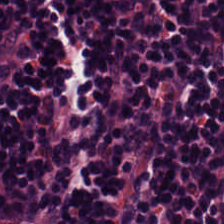Predominant tissue = lymphoid infiltrate.
